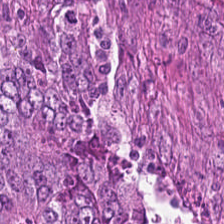Stain: H&E.
Tile size: 224×224 px tile.
Classification: adenocarcinoma.
